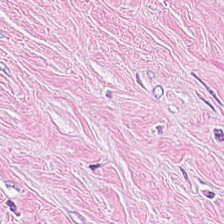Hematoxylin and eosin — Predominantly tumor stroma.
